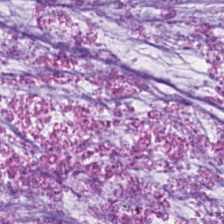Q: What type of tissue is this?
A: Extracellular mucin.
